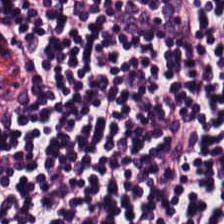H&E-stained tissue section · whole-slide-image patch.
Q: What does this patch show?
A: It is lymphocytes.
